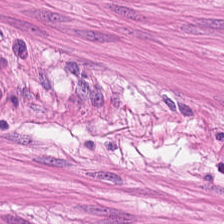Hematoxylin and eosin — Predominant tissue: smooth muscle.
